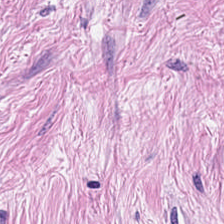Hematoxylin-and-eosin stained section — This field is cancer-associated stroma.
